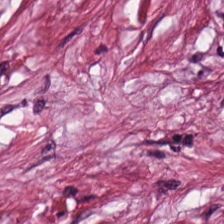H&E stain. Q: What tissue type is shown here?
A: Tumor stroma.
